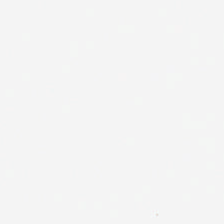H&E stain · brightfield microscopy — Background — no tissue in this field.
